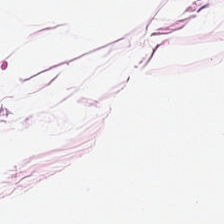224×224 px patch; H&E stain. Predominantly adipose tissue.
